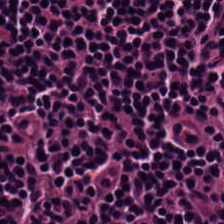Formalin-fixed paraffin-embedded section. H&E-stained tissue section. 224×224 pixel tile. This field is lymphocyte aggregate.
